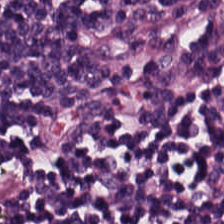Tissue type — lymphocytic infiltrate.
